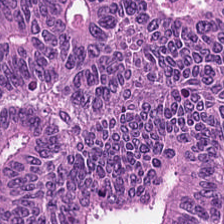Hematoxylin-and-eosin stained section; brightfield microscopy; formalin-fixed paraffin-embedded section.
Classification: colorectal adenocarcinoma epithelium.
